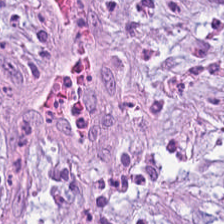H&E-stained tissue section showing tumor-associated stroma.
